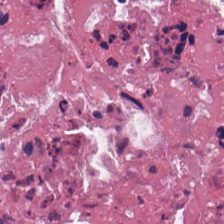H&E-stained tissue section. This patch shows debris.
